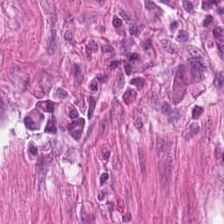Hematoxylin and eosin · whole-slide-image patch — Classification — smooth muscle.
